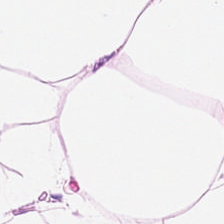Tissue: adipose tissue.
